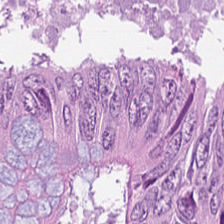H&E — Q: What tissue is shown?
A: This is colorectal adenocarcinoma.
